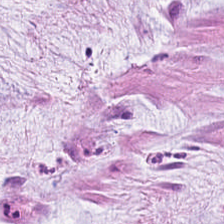224×224 px patch. H&E. The predominant tissue is mucus.
